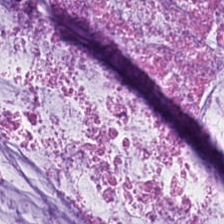0.5 µm per pixel; hematoxylin and eosin. Finding — mucus.
